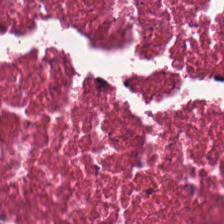Hematoxylin-and-eosin stained section · whole-slide-image patch · 0.5 microns per pixel. Predominantly necrotic debris.
